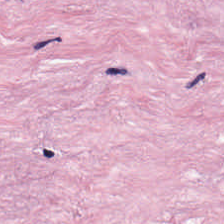H&E patch showing tumor stroma.
